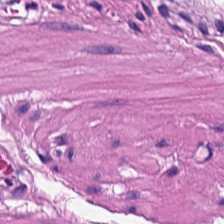H&E — smooth-muscle tissue.
